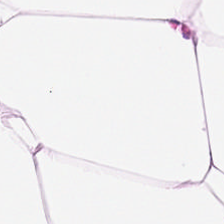Predominant tissue — adipose.
